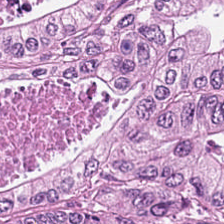H&E stain. Tissue class = colorectal adenocarcinoma.
